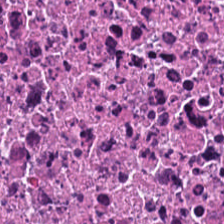Stain: hematoxylin-and-eosin stained section.
Tile size: 224×224 pixel tile.
Predominant tissue: necrotic debris.
